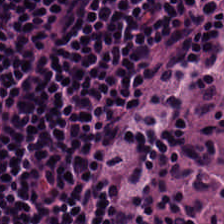WSI patch. Hematoxylin and eosin.
{"tissue_type": "lymphocyte aggregate"}
